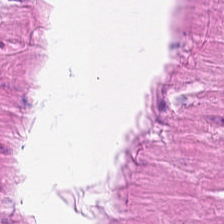H&E — Predominant tissue: smooth-muscle tissue.
